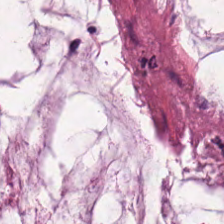Histology — extracellular mucin.
